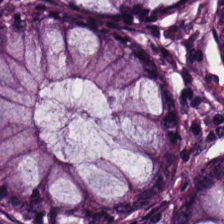Hematoxylin and eosin. Impression → benign colonic mucosa.
